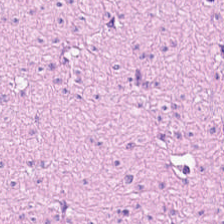FFPE tissue section; hematoxylin-and-eosin stained section; 0.5 µm/px.
Predominant tissue: muscularis.
